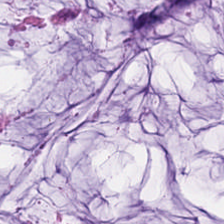Stain: hematoxylin and eosin.
Tissue class: extracellular mucin.
